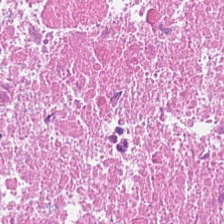0.5 µm/px; brightfield microscopy; hematoxylin-and-eosin stained section — The tissue type is cellular debris.
